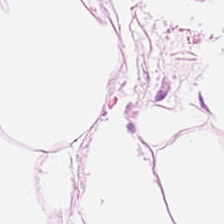20× equivalent magnification; hematoxylin and eosin.
This patch shows adipose tissue.
